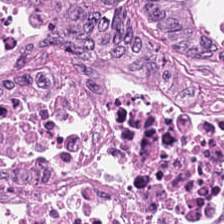H&E · 224×224 px tile · brightfield microscopy — Q: What is shown in this field?
A: The field shows malignant epithelium.
